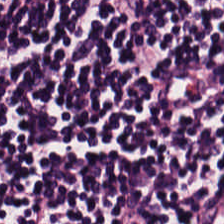Stain: H&E.
Tile size: 224×224 px patch.
Classification: lymphoid infiltrate.
